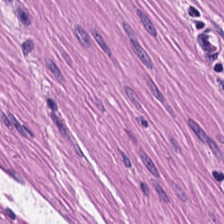Classification: smooth-muscle tissue.
